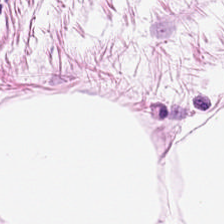Hematoxylin and eosin · FFPE — The tissue here is adipose.
